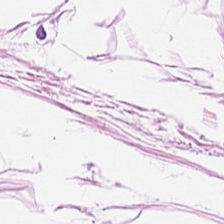H&E stain.
This patch shows adipose tissue.
